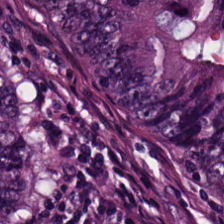H&E stain; 224×224 pixel tile; FFPE tissue section. The tissue here is malignant epithelium.
